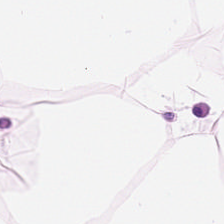Q: Identify the tissue.
A: The field shows adipose tissue.
